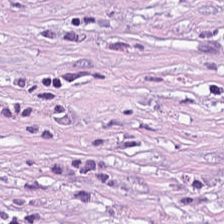H&E stain. Tissue type: tumor-associated stroma.
